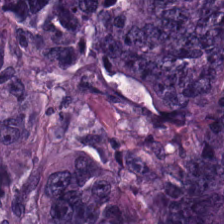Hematoxylin-and-eosin stained section. Brightfield. This field is tumor epithelium.
